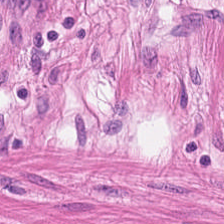The tissue class is smooth-muscle tissue.
